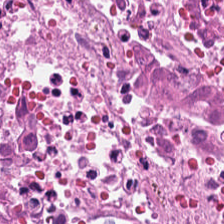Hematoxylin and eosin. Showing necrotic debris.
